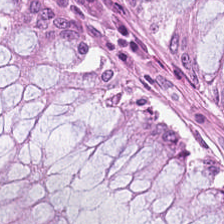20× equivalent magnification · 224×224 pixel tile · hematoxylin-and-eosin stained section. The tissue here is non-neoplastic colon mucosa.
